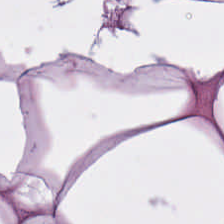Whole-slide-image patch · H&E-stained tissue section — Q: What does this patch show?
A: Fat tissue.
